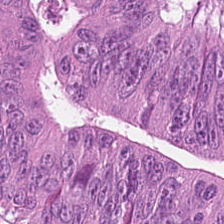Stain: H&E.
Tissue: tumor epithelium.
